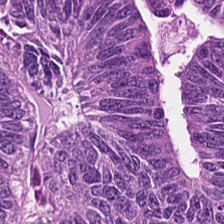Tissue type — tumor epithelium.
